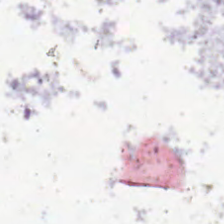Hematoxylin and eosin. This patch shows background.
